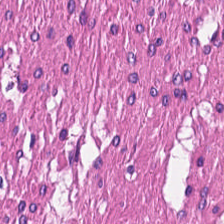Hematoxylin and eosin.
{"tissue_type": "smooth-muscle tissue"}
